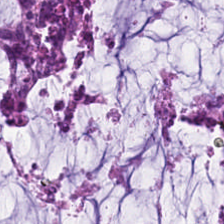Q: What is shown in this field?
A: The field shows mucin.
